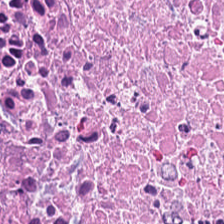Hematoxylin and eosin; brightfield microscopy; 224×224 px tile — Q: What is the predominant tissue type?
A: This is debris.
